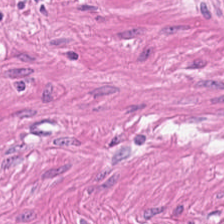H&E.
Q: What is the predominant tissue type?
A: This is muscularis.
